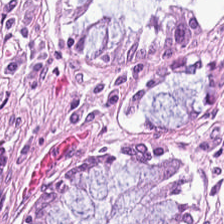H&E stain. This field is normal colon mucosa.
